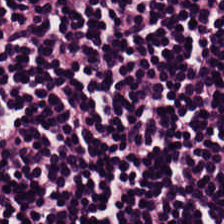H&E stain — Showing lymphoid infiltrate.
